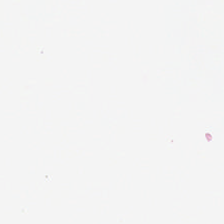Formalin-fixed paraffin-embedded section · H&E stain. Background — no tissue in this field.
